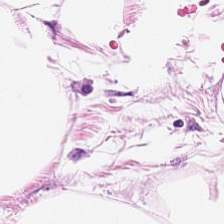H&E.
This patch shows adipose tissue.
